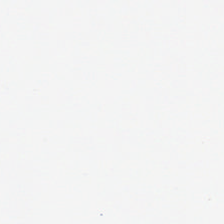Hematoxylin-and-eosin stained section — The content is empty background.
